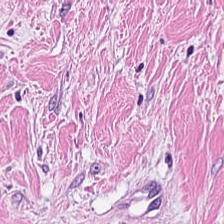Stain: H&E-stained tissue section.
Tissue: desmoplastic stroma.
